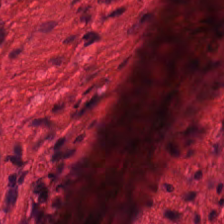H&E-stained section; the field shows smooth muscle.
